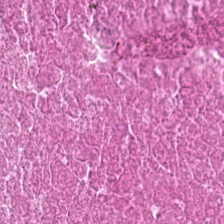H&E.
Showing debris.
